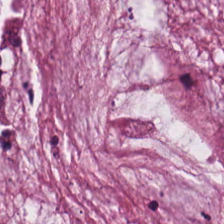Stain: hematoxylin and eosin.
Tissue class: extracellular mucin.
